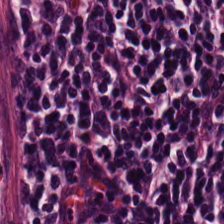H&E stain.
Tissue class: lymphocytic infiltrate.
